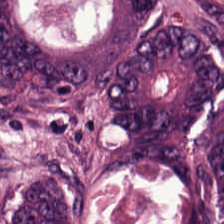H&E-stained tissue section · FFPE tissue section · 0.5 µm per pixel — Showing colorectal adenocarcinoma.
